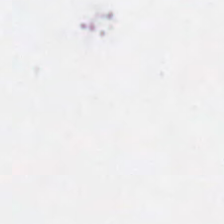Hematoxylin-and-eosin stained section. Brightfield microscopy. 20× equivalent magnification.
Q: What is shown in this field?
A: The field shows background.
